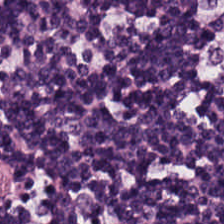Showing lymphocytes.
